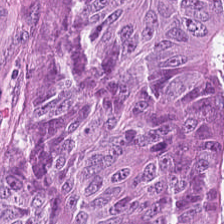224×224 px tile · hematoxylin and eosin · 20× equivalent magnification.
Predominantly colorectal adenocarcinoma.
